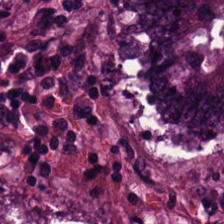H&E stain; 224×224 pixel tile.
Finding — malignant epithelium.
